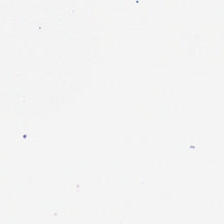Hematoxylin-and-eosin stained section; 224×224 px tile; 0.5 microns per pixel.
The field content is no tissue.
